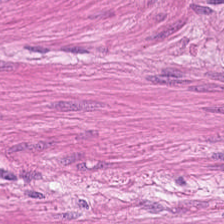Hematoxylin-and-eosin stained section · FFPE.
Q: What tissue is shown?
A: The field shows smooth muscle.
